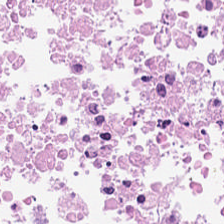WSI patch. H&E-stained tissue section — Showing cellular debris.
